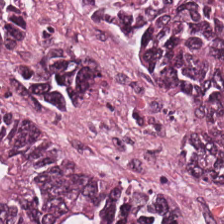FFPE tissue section; hematoxylin and eosin; brightfield microscopy — Tissue class — adenocarcinoma.
